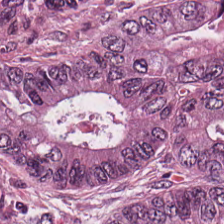H&E stain.
Q: What type of tissue is this?
A: The field shows colorectal adenocarcinoma epithelium.
